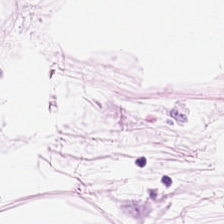H&E-stained section; the field shows fat tissue.
